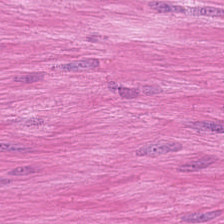0.5 µm per pixel · whole-slide-image patch · hematoxylin and eosin. Q: What is the predominant tissue type?
A: The field shows smooth-muscle tissue.
